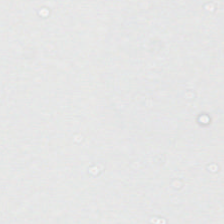Stain: hematoxylin-and-eosin stained section.
Field content: no tissue.
